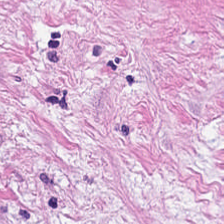Histology → cancer-associated stroma.
